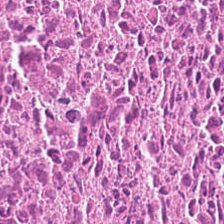WSI patch · 0.5 microns per pixel · hematoxylin and eosin. Q: What is shown here?
A: This is necrotic debris.
